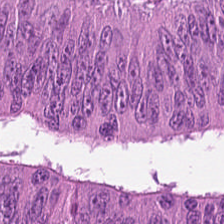Hematoxylin and eosin · formalin-fixed paraffin-embedded section · 224×224 pixel tile.
The tissue type is tumor epithelium.
